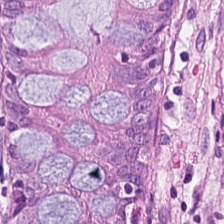H&E · 0.5 µm per pixel — This field is normal colon mucosa.
